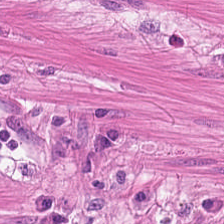224×224 pixel tile; H&E — Histology → muscularis.
